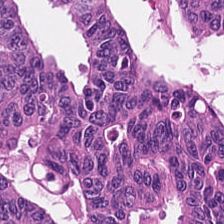H&E stain · formalin-fixed paraffin-embedded section.
This patch shows colorectal adenocarcinoma.
